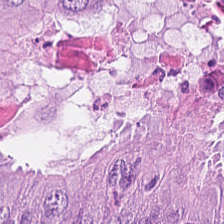H&E stain. Tissue class = tumor epithelium.
